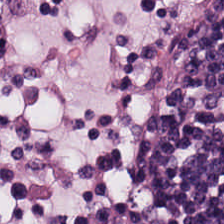H&E-stained tissue section. Tissue — lymphoid infiltrate.
